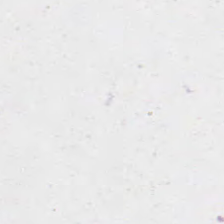H&E stain — Content — empty background.
